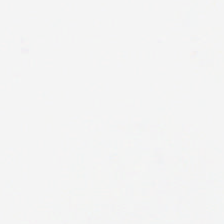H&E-stained tissue section · brightfield — The classification is empty background.
